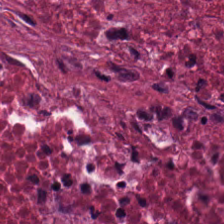H&E stain — Showing cellular debris.
